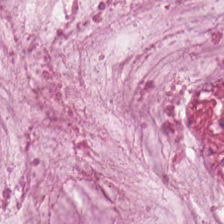224×224 pixel tile · FFPE tissue section · hematoxylin-and-eosin stained section — This field is mucus.
